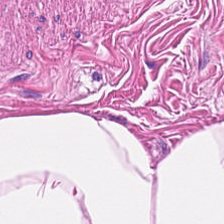224×224 pixel tile · hematoxylin and eosin — Impression → muscularis.
